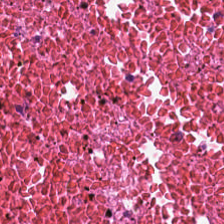Stain: hematoxylin-and-eosin stained section.
Preparation: FFPE tissue section.
Acquisition: whole-slide-image patch.
Tissue class: cellular debris.
